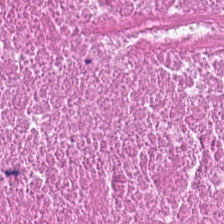H&E stain. FFPE.
Showing cellular debris.
